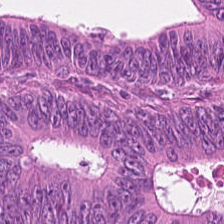The tissue here is colorectal adenocarcinoma epithelium.
